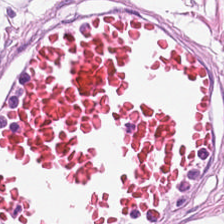Stain: hematoxylin and eosin.
Acquisition: brightfield.
Preparation: FFPE tissue section.
Classification: adipose tissue.
